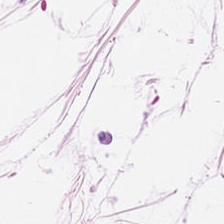H&E stain — The predominant tissue is adipocytes.
